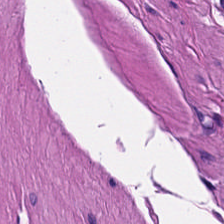H&E-stained tissue section. FFPE tissue section. The tissue type is smooth muscle.
